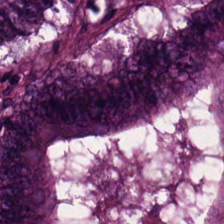Stain: H&E-stained tissue section.
Resolution: 0.5 microns per pixel.
Tissue type: adenocarcinoma.
